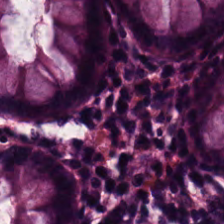Hematoxylin-and-eosin stained section. 0.5 µm/px.
Classification: non-neoplastic colon mucosa.
